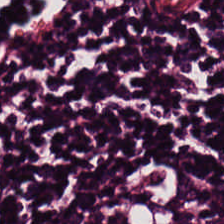FFPE · H&E.
The predominant tissue is lymphocyte aggregate.
